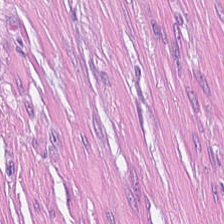20× equivalent magnification. H&E-stained tissue section. 224×224 px tile. Tissue class: tumor-associated stroma.
